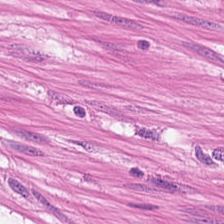Q: What is shown here?
A: The field shows smooth-muscle tissue.
